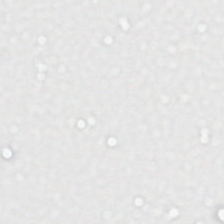Hematoxylin-and-eosin stained section — Q: What is shown in this field?
A: Background.
